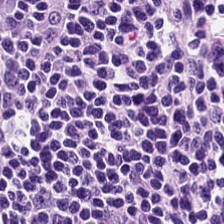H&E stain; 0.5 µm per pixel; 224×224 px patch — {"tissue_type": "lymphocytes"}
